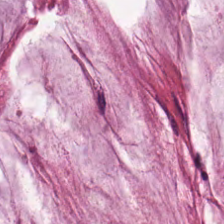0.5 µm per pixel; 224×224 pixel tile; H&E-stained tissue section.
Predominantly extracellular mucin.
